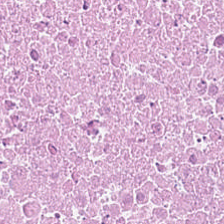H&E stain. Tissue type = debris.
